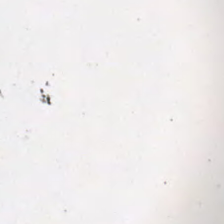Brightfield microscopy; H&E.
Classification = background.
